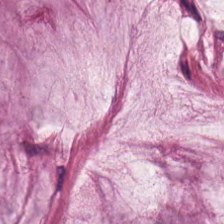Q: What is shown in this field?
A: This is extracellular mucin.
